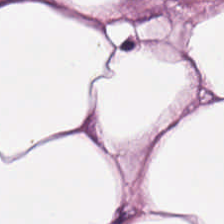H&E-stained tissue section.
Showing adipose tissue.
